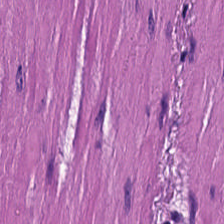H&E-stained tissue section. The classification is smooth muscle.
